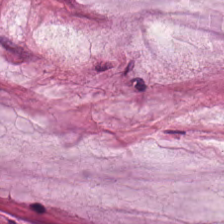FFPE tissue section; H&E stain — The tissue class is mucin.
